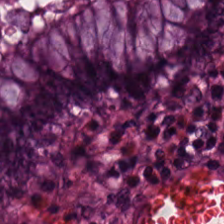Stain: hematoxylin-and-eosin stained section.
Predominant tissue: non-neoplastic colon mucosa.
